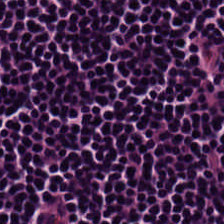H&E stain; FFPE — Classification: lymphocyte aggregate.
